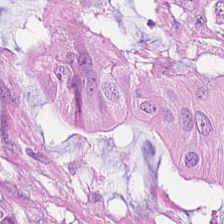Hematoxylin-and-eosin stained section. Tissue = colorectal adenocarcinoma epithelium.
